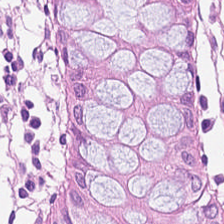FFPE tissue section · H&E stain · 0.5 microns per pixel — Classification = normal colonic mucosa.
